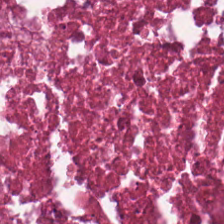Finding → cellular debris.
